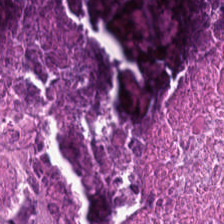Hematoxylin-and-eosin stained section — Q: What type of tissue is this?
A: This is debris.
